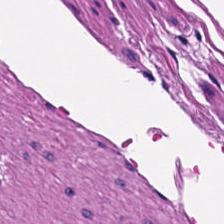H&E-stained tissue section. Showing muscularis.
